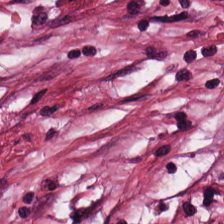H&E. 224×224 pixel tile. 0.5 microns per pixel. Predominant tissue — tumor stroma.
